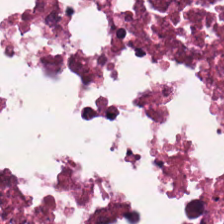H&E. Q: Identify the tissue.
A: Necrotic debris.
